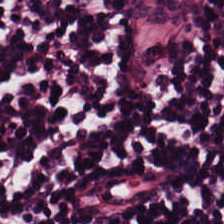H&E stain. This patch shows lymphoid infiltrate.
